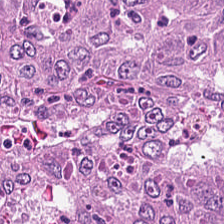Finding → tumor epithelium.
